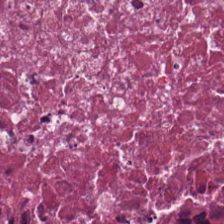H&E stain. 224×224 pixel tile. 0.5 microns per pixel. The predominant tissue is necrotic debris.
